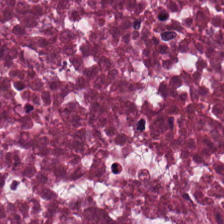0.5 µm/px · H&E-stained tissue section · brightfield — Q: Identify the tissue.
A: This is necrotic debris.
